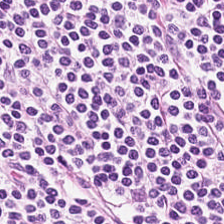H&E-stained tissue section.
Lymphocyte aggregate.
